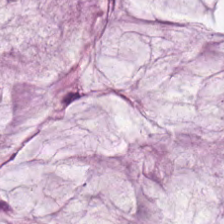Brightfield. H&E. 224×224 px tile. The tissue is extracellular mucin.
